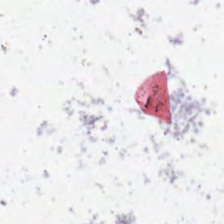FFPE tissue section · 20× equivalent magnification · H&E stain.
This patch shows background.
